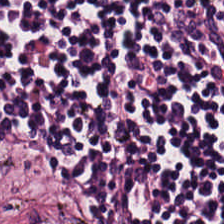H&E-stained tissue section.
The tissue here is lymphocytes.
